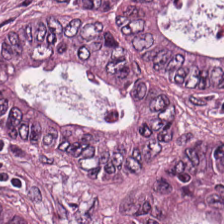Q: What type of tissue is this?
A: This is malignant epithelium.
